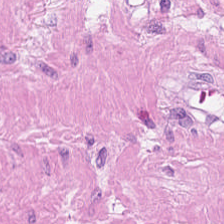H&E stain — The classification is smooth-muscle tissue.
